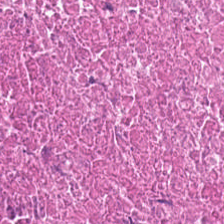Classification: debris.
